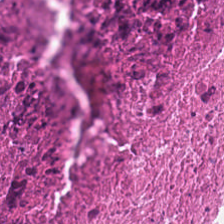H&E stain. Tissue class: cellular debris.
